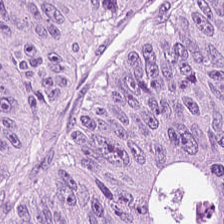Hematoxylin-and-eosin stained section. This field is malignant epithelium.
